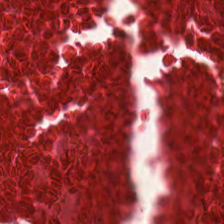Q: What tissue is shown?
A: The field shows cellular debris.
